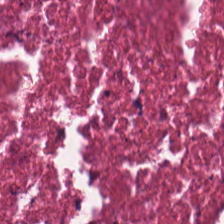The tissue is debris.
